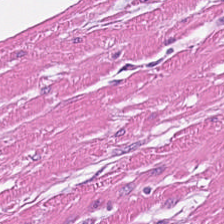Stain: H&E stain.
Tile size: 224×224 px patch.
Resolution: 0.5 µm/px.
Tissue type: smooth muscle.
